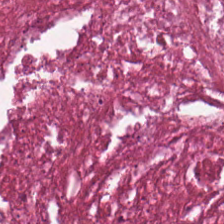0.5 microns per pixel · H&E-stained tissue section — Debris.
